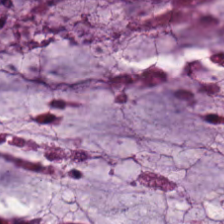WSI patch; formalin-fixed paraffin-embedded section; H&E stain — {"tissue_type": "mucus"}
